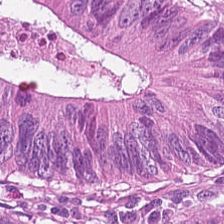H&E-stained tissue section. The predominant tissue is colorectal adenocarcinoma.
